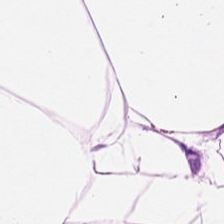224×224 px tile · 0.5 µm per pixel · H&E-stained tissue section. Q: What does this patch show?
A: It is adipose tissue.
